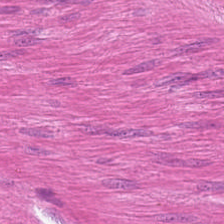Hematoxylin-and-eosin stained section. The predominant tissue is smooth muscle.
